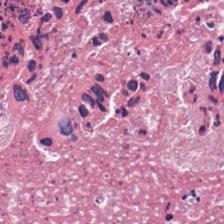H&E-stained tissue section.
The tissue here is necrotic debris.
